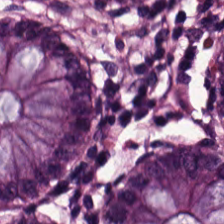H&E.
Showing normal colon mucosa.
